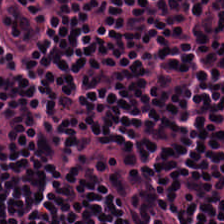Hematoxylin-and-eosin stained section.
Showing lymphocyte aggregate.
